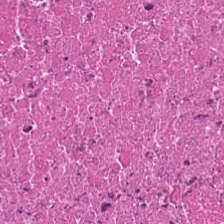H&E-stained section; the field shows necrotic debris.
